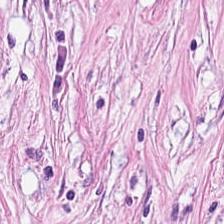Tissue — tumor-associated stroma.
